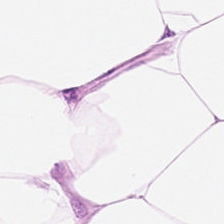H&E stain; formalin-fixed paraffin-embedded section.
Predominantly adipose tissue.
